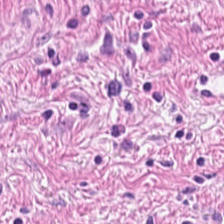H&E — Predominantly smooth-muscle tissue.
